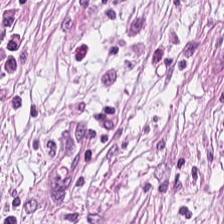H&E stain · 224×224 px tile.
Q: What tissue type is shown here?
A: It is desmoplastic stroma.
